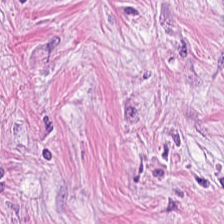H&E stain · FFPE tissue section — Predominantly desmoplastic stroma.
